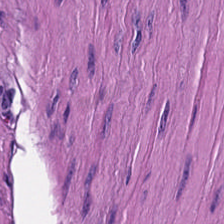H&E-stained tissue section — This patch shows smooth muscle.
